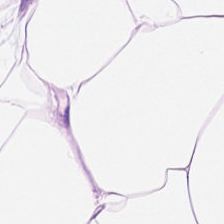H&E stain · 0.5 µm per pixel.
Q: What tissue is shown?
A: Adipocytes.
